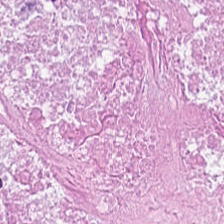FFPE tissue section. H&E stain. Q: What tissue type is shown here?
A: The field shows necrotic debris.
